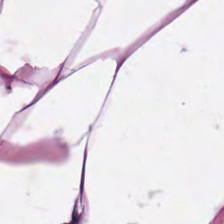Hematoxylin and eosin.
Q: What is shown in this field?
A: It is adipocytes.
